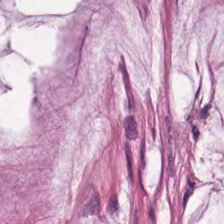H&E-stained tissue section — Tissue class = mucin.
